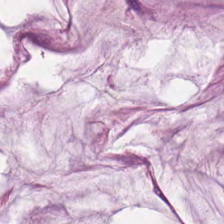H&E.
Mucin.
